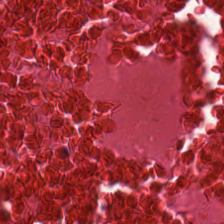Formalin-fixed paraffin-embedded section; WSI patch; hematoxylin and eosin — Histology → necrotic debris.
